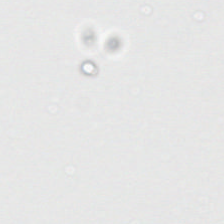H&E.
{"content": "background (no tissue)"}
